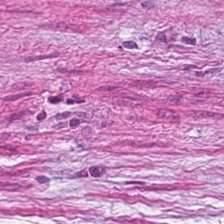H&E-stained tissue section. This field is tumor-associated stroma.
